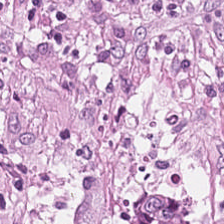H&E-stained tissue section. 224×224 pixel tile — The predominant tissue is tumor-associated stroma.
